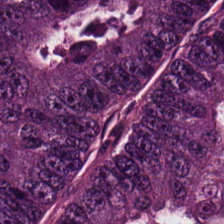Hematoxylin and eosin. Predominant tissue: colorectal adenocarcinoma epithelium.
